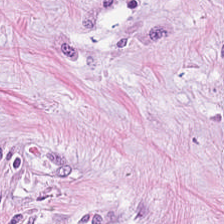H&E-stained tissue section. This patch shows cancer-associated stroma.
